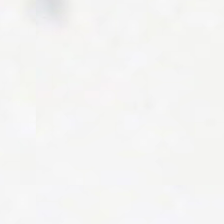Stain: hematoxylin-and-eosin stained section.
Classification: background.
